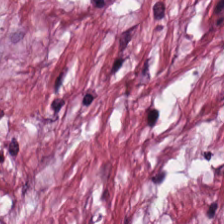Hematoxylin and eosin. This patch shows cancer-associated stroma.
